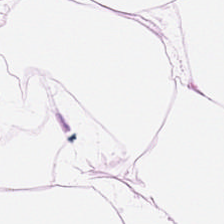H&E-stained section; the field shows adipocytes.
